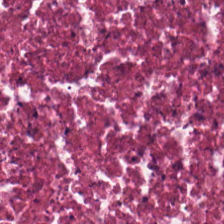H&E stain.
This field is necrotic debris.
